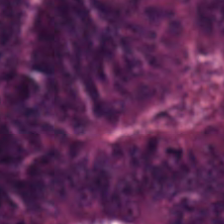H&E patch showing colorectal adenocarcinoma.
